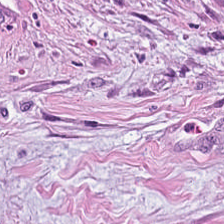Q: Classify this patch.
A: The field shows cancer-associated stroma.
